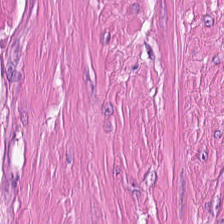224×224 px patch; brightfield; H&E-stained tissue section — The predominant tissue is muscularis.
